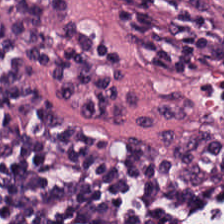The predominant tissue is lymphocytic infiltrate.
